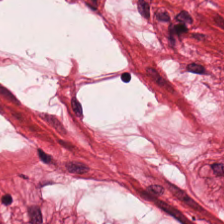224×224 px patch; hematoxylin-and-eosin stained section; FFPE. The tissue here is smooth muscle.
